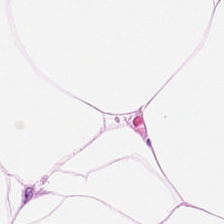Stain: H&E-stained tissue section.
Predominant tissue: fat tissue.
